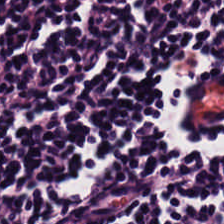Brightfield. H&E — Predominantly lymphoid infiltrate.
